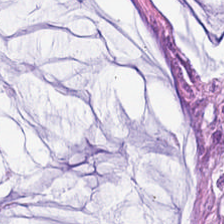Hematoxylin-and-eosin stained section. Classification: mucin.
